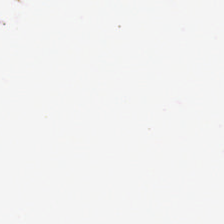Brightfield microscopy. H&E. No tissue present; background only.
